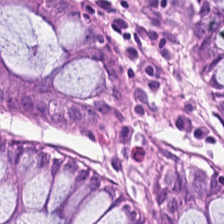H&E stain.
This patch shows normal colon mucosa.
